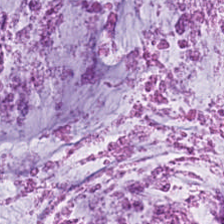H&E. The tissue here is extracellular mucin.
